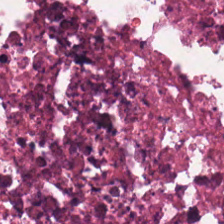H&E-stained tissue section. 224×224 pixel tile. 0.5 µm per pixel.
Q: What is shown in this field?
A: This is necrotic debris.
